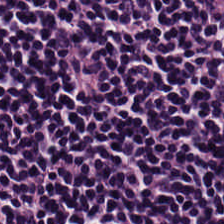H&E. The tissue here is lymphocytes.
